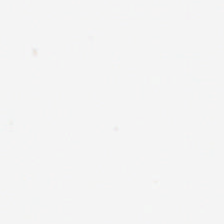This patch shows background (no tissue).
